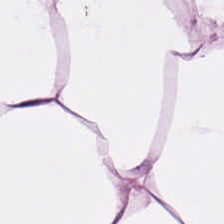0.5 microns per pixel · hematoxylin and eosin · FFPE.
Adipose.
